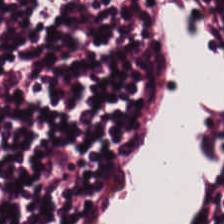H&E stain. FFPE. 224×224 px patch — Classification — lymphocytic infiltrate.
